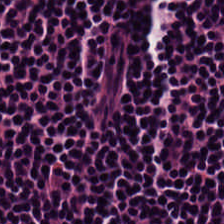Hematoxylin-and-eosin stained section — Tissue class — lymphocyte aggregate.
